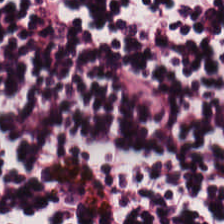Hematoxylin and eosin; whole-slide-image patch.
Q: What is shown in this field?
A: This is lymphocytes.
